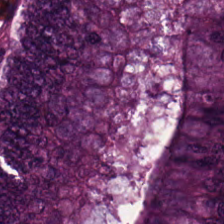224×224 px patch · 0.5 microns per pixel · H&E-stained tissue section. Tissue type — colorectal adenocarcinoma epithelium.
